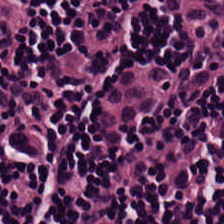H&E · 224×224 px patch — Impression — lymphocyte aggregate.
